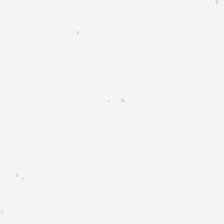Stain: H&E.
Classification: empty background.
